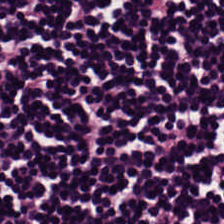H&E · 20× equivalent magnification.
Tissue type = lymphocytes.
